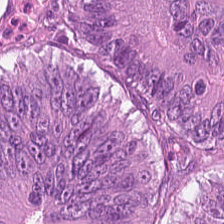H&E-stained tissue section — Predominantly colorectal adenocarcinoma epithelium.
